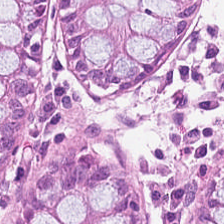224×224 px patch; formalin-fixed paraffin-embedded section; H&E-stained tissue section.
This field is non-neoplastic colon mucosa.
